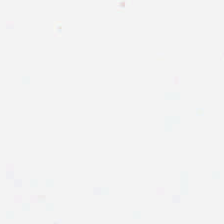Content = empty background.
